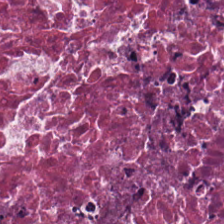Stain: hematoxylin and eosin.
Classification: necrotic debris.
